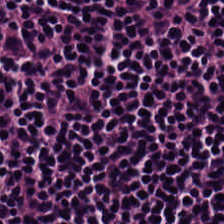0.5 µm per pixel. H&E stain. FFPE tissue section.
Classification = lymphoid infiltrate.
